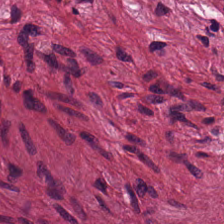H&E stain — Tumor-associated stroma.
